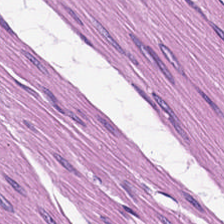H&E-stained tissue section.
Q: What is shown in this field?
A: This is smooth-muscle tissue.
